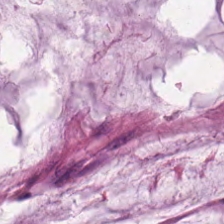Whole-slide-image patch · 224×224 pixel tile · H&E.
Showing mucin.
